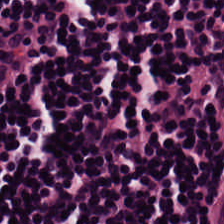Hematoxylin and eosin — The tissue here is lymphoid infiltrate.
